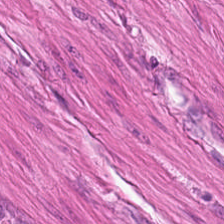Hematoxylin-and-eosin stained section. Predominantly smooth-muscle tissue.
